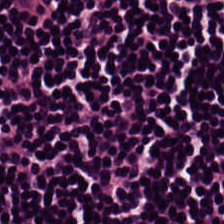H&E-stained tissue section showing lymphocytes.
